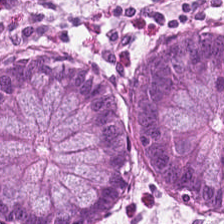The classification is normal colonic mucosa.
